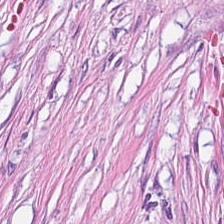H&E stain — {"tissue_type": "tumor-associated stroma"}
